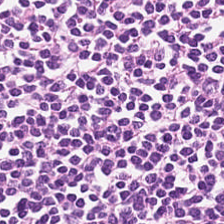Hematoxylin and eosin — Histology — lymphocyte aggregate.
